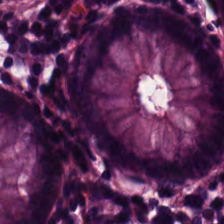Hematoxylin-and-eosin stained section. Classification = non-neoplastic colon mucosa.
